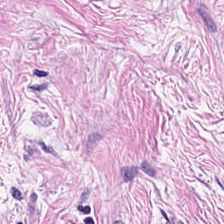Hematoxylin and eosin. 224×224 px patch. Brightfield microscopy. Showing cancer-associated stroma.
